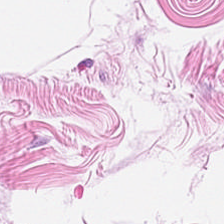Hematoxylin-and-eosin stained section — Showing adipose tissue.
